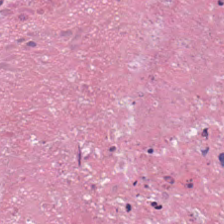Histology — debris.
